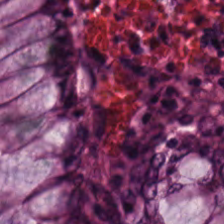Stain: hematoxylin and eosin.
Classification: non-neoplastic colon mucosa.
